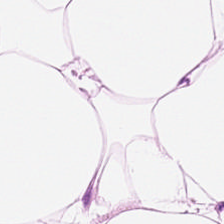H&E stain.
Finding → fat tissue.
